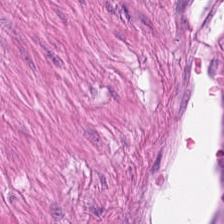H&E-stained tissue section.
The predominant tissue is muscularis.
